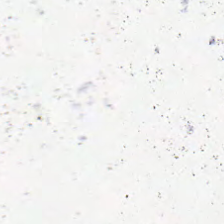Hematoxylin-and-eosin stained section. Q: What does this patch show?
A: The field shows empty background.
